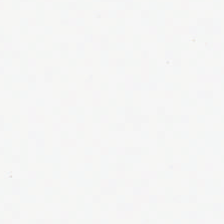Formalin-fixed paraffin-embedded section · H&E stain. Q: What is shown in this field?
A: This is background (no tissue).
